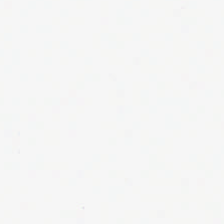No tissue present; background only.
